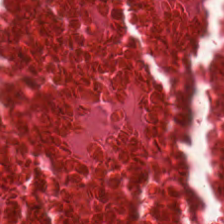H&E; 0.5 µm/px — Tissue type = necrotic debris.
